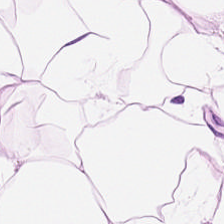Formalin-fixed paraffin-embedded section. 224×224 px tile. Hematoxylin and eosin. The predominant tissue is adipose.
